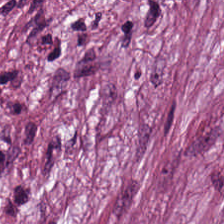Stain: H&E.
Tissue: cancer-associated stroma.
